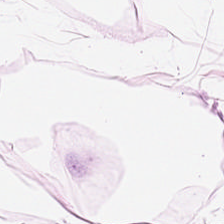Stain: H&E.
Tissue type: adipocytes.
